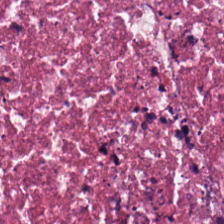Hematoxylin-and-eosin stained section — Predominantly necrotic debris.
